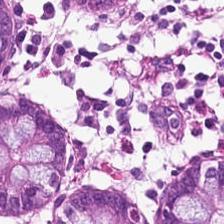Hematoxylin-and-eosin stained section; 20× equivalent magnification.
The predominant tissue is normal colon mucosa.
